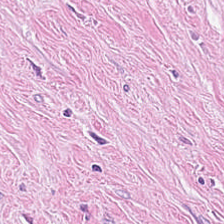Hematoxylin-and-eosin stained section. Predominant tissue = cancer-associated stroma.
